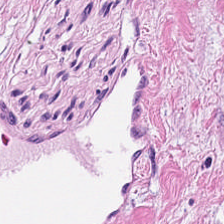Q: Classify this patch.
A: Tumor-associated stroma.
